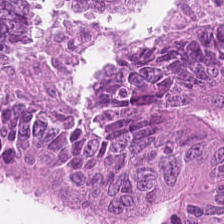Hematoxylin and eosin. This patch shows colorectal adenocarcinoma.
